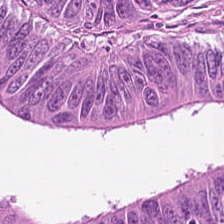Histology — colorectal adenocarcinoma.
